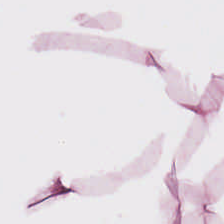Q: What does this patch show?
A: It is fat tissue.
